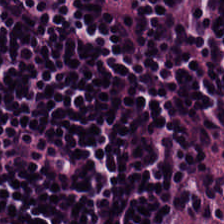Stain: hematoxylin-and-eosin stained section.
Tissue: lymphoid infiltrate.
